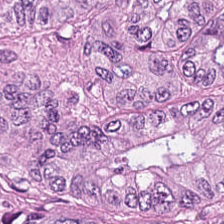H&E — malignant epithelium.
